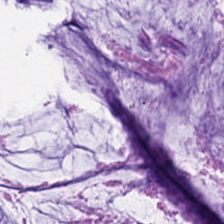H&E stain. Q: What type of tissue is this?
A: The field shows mucin.
